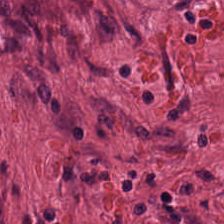Q: Identify the tissue.
A: It is tumor-associated stroma.
